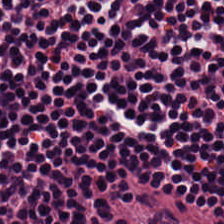Hematoxylin and eosin.
The predominant tissue is lymphocytic infiltrate.
